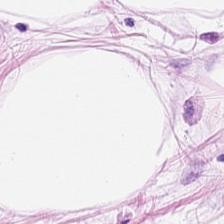Q: What is the predominant tissue type?
A: Adipocytes.
